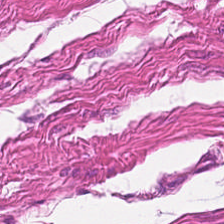Stain: hematoxylin and eosin.
Tile size: 224×224 pixel tile.
Acquisition: brightfield.
Tissue type: muscularis.
